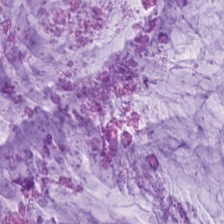20× equivalent magnification · H&E stain — Tissue = extracellular mucin.
